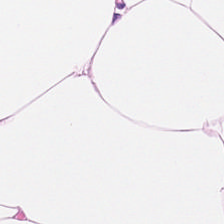The tissue type is adipocytes.
